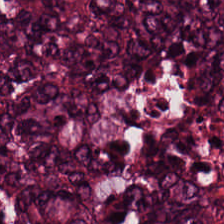Hematoxylin-and-eosin stained section — Finding → malignant epithelium.
